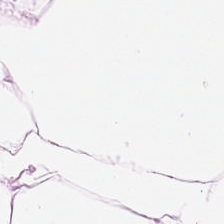224×224 px patch; H&E; 20× equivalent magnification — Predominantly adipose tissue.
